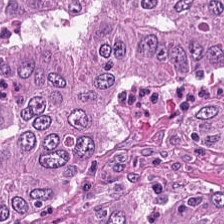Stain: H&E-stained tissue section.
Classification: colorectal adenocarcinoma epithelium.
